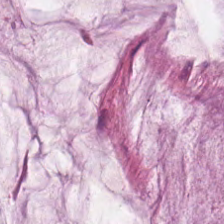0.5 µm/px · hematoxylin and eosin.
Histology — mucin.
